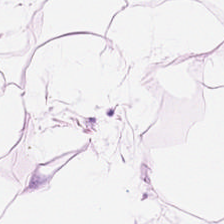Tissue class = adipose.
